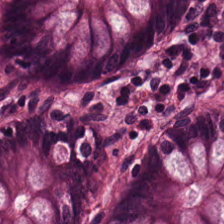Stain: H&E-stained tissue section.
Tissue class: normal colonic mucosa.
